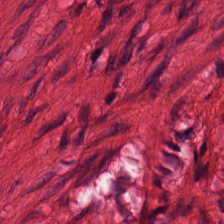Hematoxylin-and-eosin stained section; FFPE tissue section; 224×224 pixel tile. {"tissue_type": "smooth muscle"}
